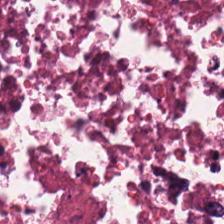Formalin-fixed paraffin-embedded section; 224×224 px tile; hematoxylin-and-eosin stained section. Q: Identify the tissue.
A: Cellular debris.
